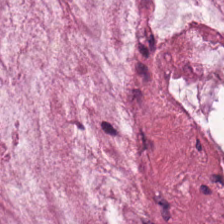Hematoxylin-and-eosin stained section.
Predominant tissue — extracellular mucin.
